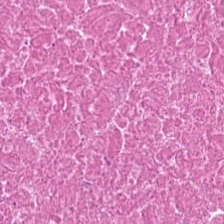Hematoxylin and eosin; 224×224 px patch; FFPE — Impression → necrotic debris.
